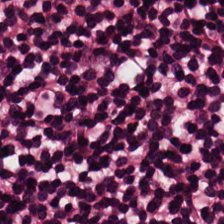Hematoxylin-and-eosin stained section. Q: What tissue is shown?
A: The field shows lymphocyte aggregate.
